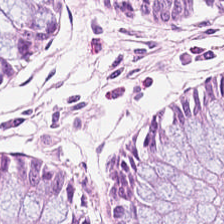0.5 microns per pixel; hematoxylin-and-eosin stained section.
The tissue here is non-neoplastic colon mucosa.
